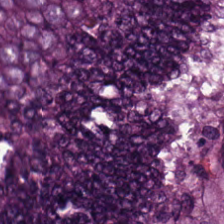Stain: hematoxylin and eosin.
Resolution: 0.5 µm per pixel.
Predominant tissue: colorectal adenocarcinoma epithelium.
